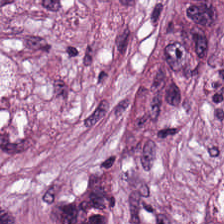H&E stain — The predominant tissue is cancer-associated stroma.
